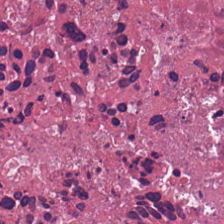{"tissue_type": "cellular debris"}
